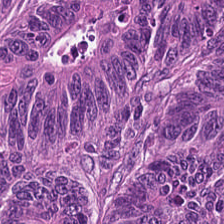Impression → tumor epithelium.
